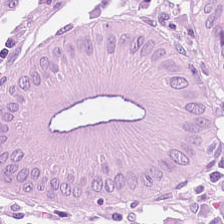H&E stain.
Tissue type = benign colonic mucosa.
